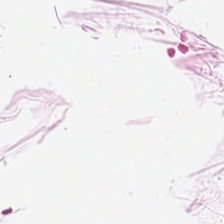Tissue type — adipocytes.
